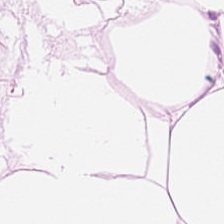Q: What does this patch show?
A: This is adipocytes.
